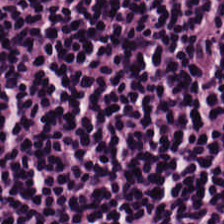Q: What tissue is shown?
A: It is lymphocytes.
